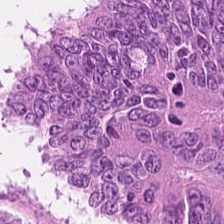Showing malignant epithelium.
